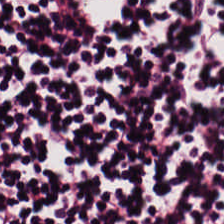Stain: H&E-stained tissue section.
Preparation: FFPE.
Tissue: lymphocytes.
